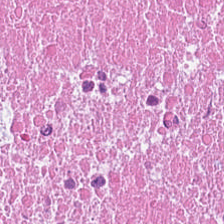H&E. Finding — necrotic debris.
